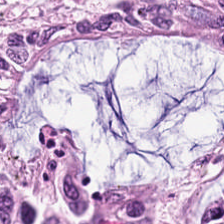H&E-stained tissue section showing tumor epithelium.
